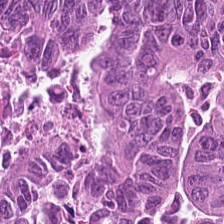20× equivalent magnification · H&E-stained tissue section.
The predominant tissue is colorectal adenocarcinoma.
